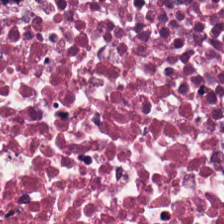Showing necrotic debris.
